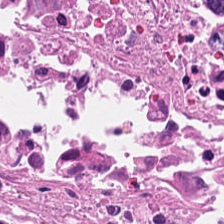Hematoxylin-and-eosin stained section.
This patch shows necrotic debris.
